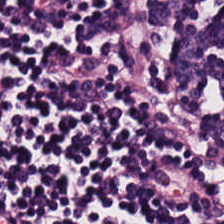Brightfield. FFPE tissue section. Hematoxylin-and-eosin stained section — Lymphocyte aggregate.
